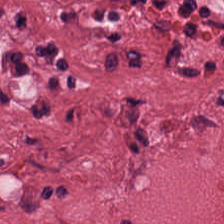H&E. Finding → desmoplastic stroma.
